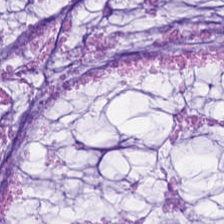Predominant tissue: mucus.
